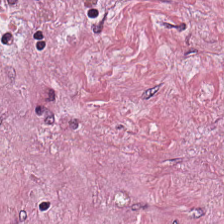H&E — cancer-associated stroma.
